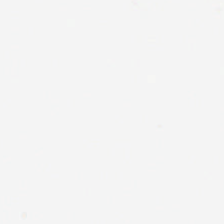224×224 pixel tile. Formalin-fixed paraffin-embedded section. H&E stain.
{"content": "background"}
